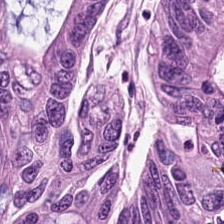Brightfield · H&E-stained tissue section. Predominantly adenocarcinoma.
